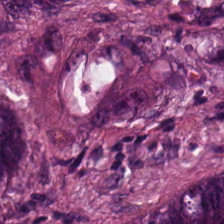Stain: hematoxylin and eosin.
Tile size: 224×224 pixel tile.
Predominant tissue: adenocarcinoma.
